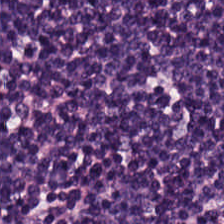Stain: hematoxylin-and-eosin stained section.
Resolution: 0.5 µm per pixel.
Tissue type: lymphoid infiltrate.
